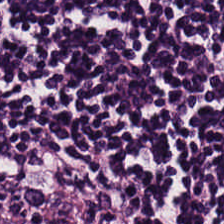H&E stain — This field is lymphocytic infiltrate.
